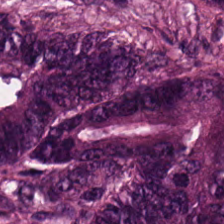Q: What tissue is shown?
A: The field shows malignant epithelium.
